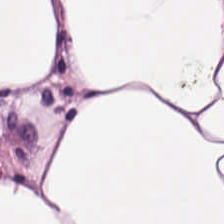Brightfield microscopy. H&E — Predominant tissue: adipocytes.
